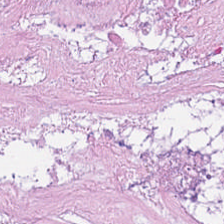H&E stain; brightfield — The tissue here is debris.
